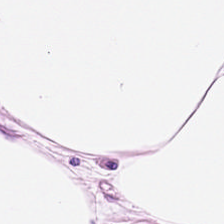Q: What tissue is shown?
A: This is adipocytes.
